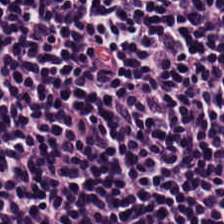Stain: hematoxylin-and-eosin stained section.
Classification: lymphocytic infiltrate.
